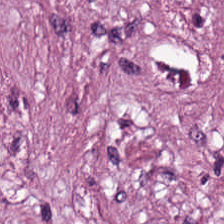Hematoxylin and eosin. Tissue type — tumor stroma.
